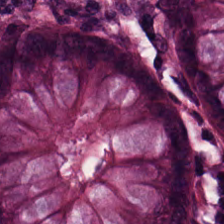The predominant tissue is benign colonic mucosa.
